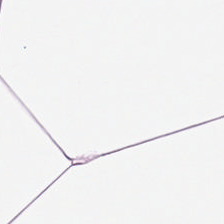H&E. Q: Identify the tissue.
A: Adipose tissue.
